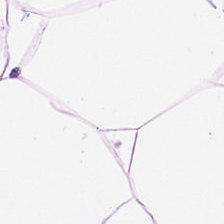Stain: H&E-stained tissue section.
Tissue type: adipose tissue.
